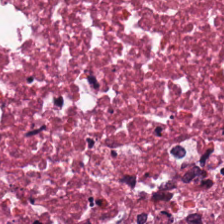This patch shows necrotic debris.
